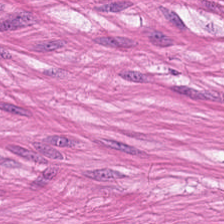H&E-stained tissue section · FFPE. The predominant tissue is smooth muscle.
